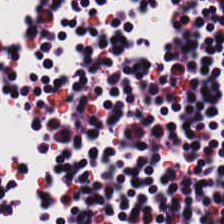H&E-stained tissue section. Brightfield microscopy. Formalin-fixed paraffin-embedded section.
Tissue class: lymphocytic infiltrate.
